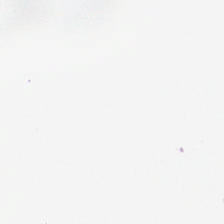FFPE · hematoxylin and eosin.
{"content": "background"}
